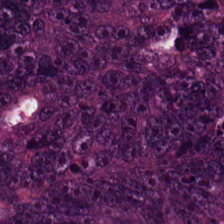Hematoxylin and eosin.
The predominant tissue is tumor epithelium.
